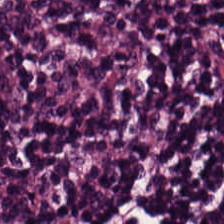Hematoxylin-and-eosin stained section; 224×224 pixel tile.
Q: What type of tissue is this?
A: The field shows lymphocytic infiltrate.
